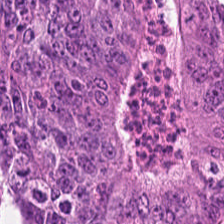H&E-stained tissue section. Q: Classify this patch.
A: Adenocarcinoma.
